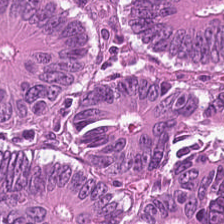H&E stain — Impression → tumor epithelium.
